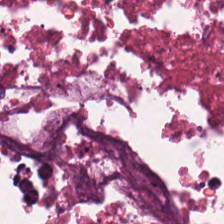H&E-stained tissue section — Histology — debris.
